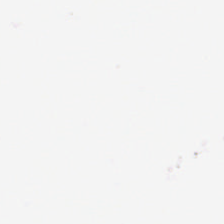H&E-stained tissue section. Formalin-fixed paraffin-embedded section — Empty field — background (no tissue).
